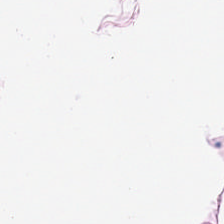Hematoxylin and eosin — Showing adipose.
